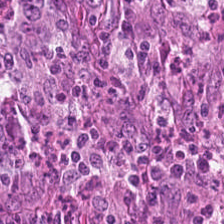Colorectal adenocarcinoma epithelium.
